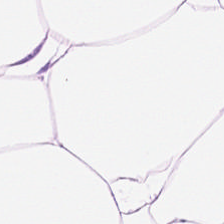H&E-stained tissue section. The tissue is adipose.
